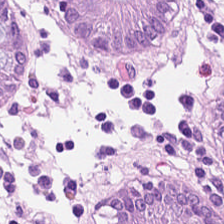Brightfield; hematoxylin-and-eosin stained section — Finding → benign colonic mucosa.
